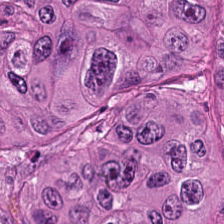Stain: hematoxylin-and-eosin stained section.
Resolution: 20× equivalent magnification.
Tile size: 224×224 pixel tile.
Predominant tissue: tumor epithelium.
